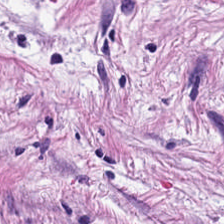H&E; FFPE tissue section; brightfield microscopy.
Predominant tissue — tumor stroma.
